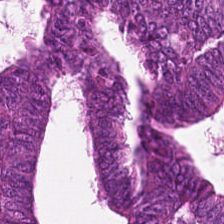224×224 px patch. 20× equivalent magnification. H&E stain.
Finding — tumor epithelium.
